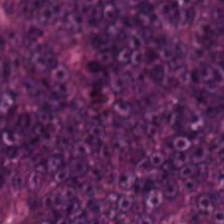224×224 pixel tile; H&E. Adenocarcinoma.
